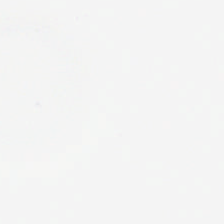No tissue.
